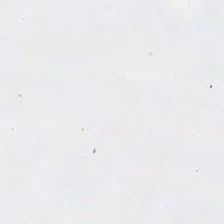Hematoxylin and eosin. Q: What is shown in this field?
A: Empty background.
